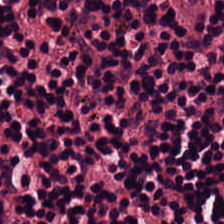Stain: H&E stain.
Resolution: 0.5 microns per pixel.
Tissue class: lymphocytes.
